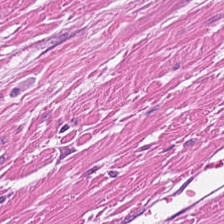20× equivalent magnification. H&E stain — Showing smooth-muscle tissue.
